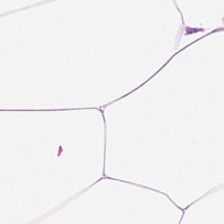Stain: hematoxylin and eosin.
Tissue: adipose tissue.
